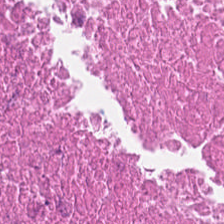0.5 µm per pixel · hematoxylin-and-eosin stained section.
The predominant tissue is necrotic debris.
